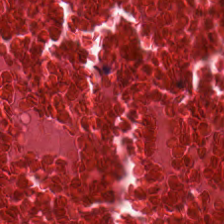Hematoxylin-and-eosin section: cellular debris.
